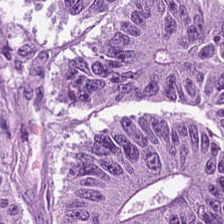H&E-stained tissue section. This field is malignant epithelium.
